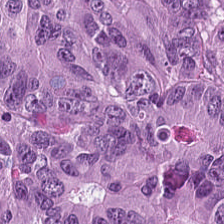Hematoxylin-and-eosin stained section. Q: Classify this patch.
A: It is colorectal adenocarcinoma.
